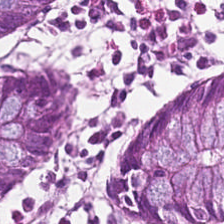Hematoxylin-and-eosin stained section.
Predominantly benign colonic mucosa.
